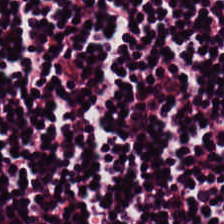H&E stain.
Histology → lymphocytic infiltrate.
